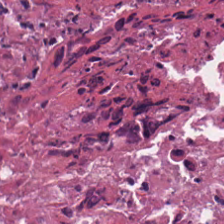Hematoxylin and eosin. Q: What tissue type is shown here?
A: The field shows necrotic debris.
